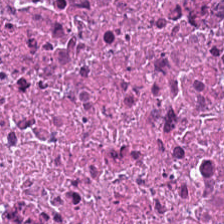The tissue here is cellular debris.
